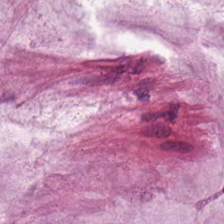The predominant tissue is extracellular mucin.
